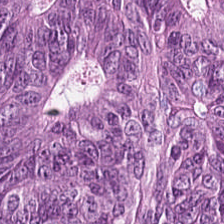Hematoxylin-and-eosin stained section. The tissue here is tumor epithelium.
